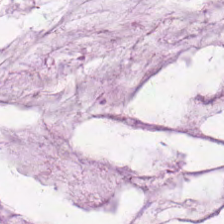0.5 µm per pixel. Hematoxylin-and-eosin stained section. WSI patch. {"tissue_type": "mucin"}
